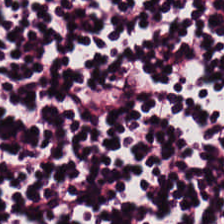H&E-stained tissue section — {"tissue_type": "lymphocytes"}
